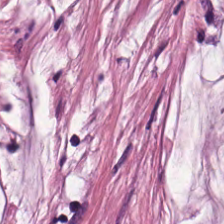Hematoxylin-and-eosin stained section.
Tissue type: mucin.
